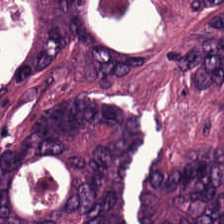Hematoxylin and eosin.
The tissue here is malignant epithelium.
